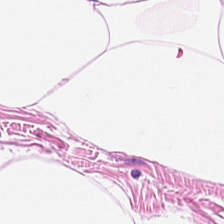Hematoxylin and eosin.
This patch shows fat tissue.
